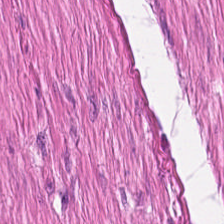20× equivalent magnification · H&E stain — Q: What tissue is shown?
A: The field shows smooth-muscle tissue.
